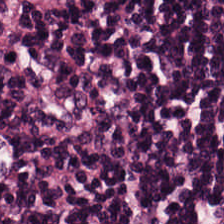FFPE tissue section · 0.5 µm/px · H&E-stained tissue section. Q: What type of tissue is this?
A: This is lymphocyte aggregate.
